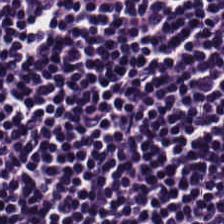This field is lymphoid infiltrate.
